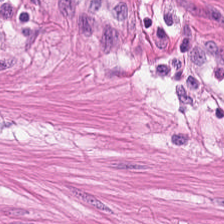H&E. Muscularis.
